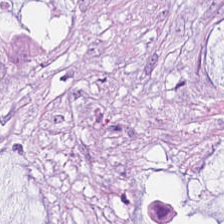Hematoxylin and eosin.
Predominantly mucus.
